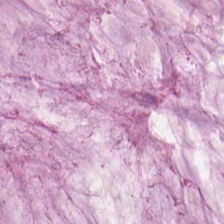0.5 µm per pixel. H&E-stained tissue section.
Showing extracellular mucin.
